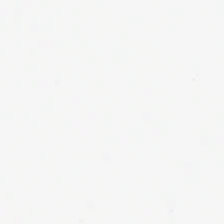Hematoxylin-and-eosin stained section.
This patch shows empty background.
